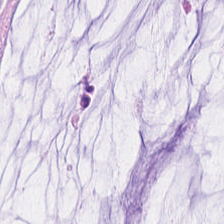H&E stain. Q: What is the predominant tissue type?
A: This is mucin.
